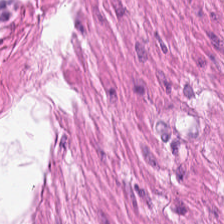The tissue type is muscularis.
